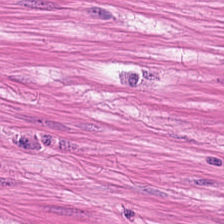H&E stain; 0.5 µm per pixel; whole-slide-image patch — Q: What is the predominant tissue type?
A: It is smooth-muscle tissue.
